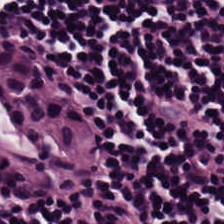Lymphoid infiltrate.
